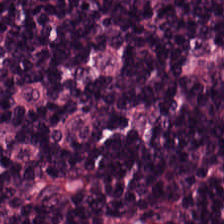Hematoxylin-and-eosin stained section — The predominant tissue is lymphocyte aggregate.
